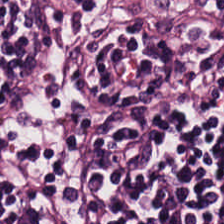H&E-stained tissue section. Showing lymphoid infiltrate.
